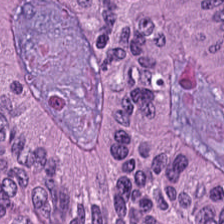Stain: hematoxylin-and-eosin stained section.
Acquisition: brightfield microscopy.
Predominant tissue: malignant epithelium.
